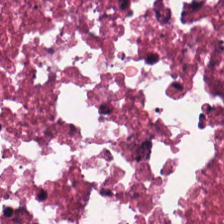H&E-stained tissue section. Q: What type of tissue is this?
A: This is cellular debris.
